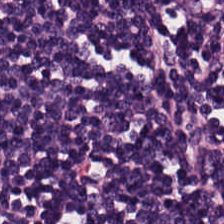Hematoxylin-and-eosin stained section · formalin-fixed paraffin-embedded section.
Q: What is the predominant tissue type?
A: It is lymphoid infiltrate.
